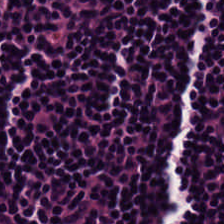Hematoxylin-and-eosin stained section.
Q: Identify the tissue.
A: It is lymphocyte aggregate.
